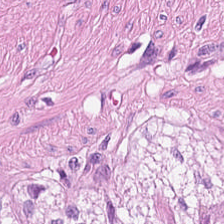Smooth muscle.
